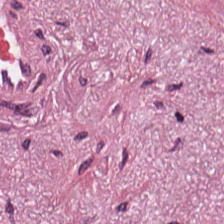Formalin-fixed paraffin-embedded section · 224×224 px tile · H&E — Tissue — tumor stroma.
